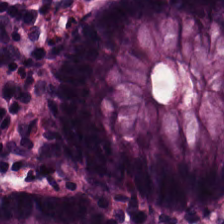Showing non-neoplastic colon mucosa.
